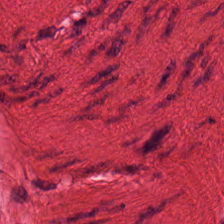H&E stain — Tissue class — muscularis.
